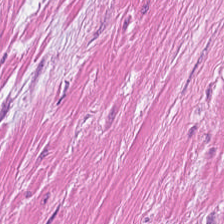Q: What is shown here?
A: Smooth muscle.
